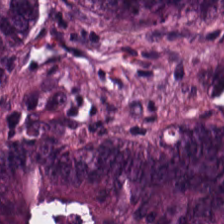Hematoxylin and eosin.
This field is tumor epithelium.
